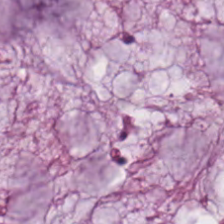H&E.
The tissue here is extracellular mucin.
